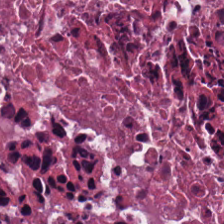Stain: hematoxylin-and-eosin stained section.
Tissue: debris.
